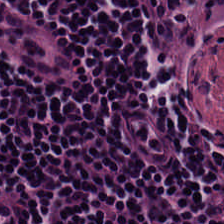WSI patch · hematoxylin and eosin. Lymphoid infiltrate.
